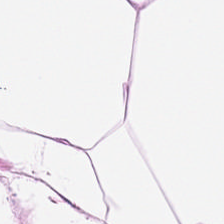H&E patch showing adipose tissue.
